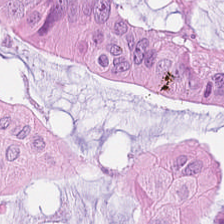FFPE; whole-slide-image patch; H&E stain.
Colorectal adenocarcinoma epithelium.
